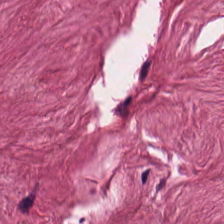Hematoxylin-and-eosin stained section.
Q: What type of tissue is this?
A: The field shows tumor-associated stroma.
